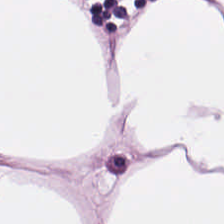0.5 microns per pixel. Hematoxylin-and-eosin stained section. 224×224 pixel tile — This field is adipose tissue.
